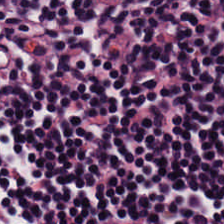0.5 microns per pixel · 224×224 pixel tile · H&E-stained tissue section. Q: What tissue type is shown here?
A: The field shows lymphocytic infiltrate.
